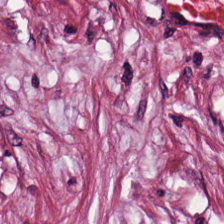Whole-slide-image patch; H&E stain.
Tissue type: tumor stroma.
